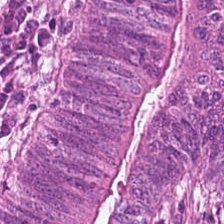Adenocarcinoma.
